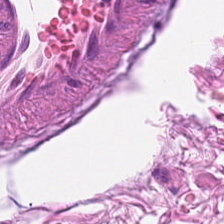Predominantly smooth muscle.
